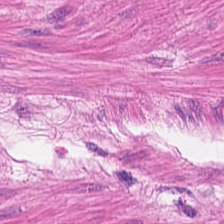Formalin-fixed paraffin-embedded section. 20× equivalent magnification. Hematoxylin and eosin.
Tissue — smooth muscle.
